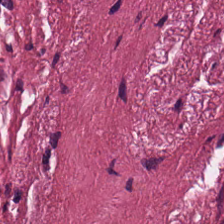FFPE; 0.5 µm/px; hematoxylin and eosin.
Tissue — desmoplastic stroma.
